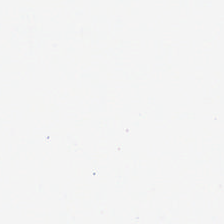224×224 pixel tile. WSI patch. Hematoxylin-and-eosin stained section — Q: Classify this patch.
A: The field shows no tissue.
